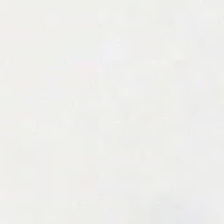H&E. 224×224 px tile.
This patch shows empty background.
